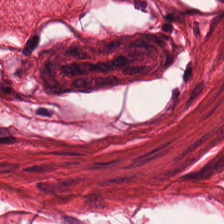H&E-stained section; the field shows smooth muscle.
